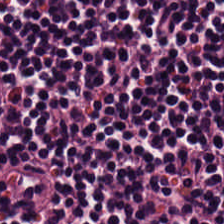Stain: H&E.
Preparation: FFPE tissue section.
Acquisition: brightfield.
Classification: lymphocytes.
